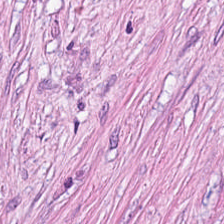H&E-stained tissue section showing tumor-associated stroma.
